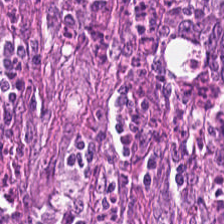H&E-stained tissue section showing malignant epithelium.
